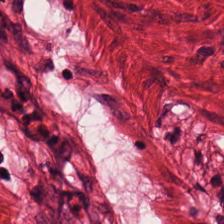H&E-stained tissue section. Predominantly muscularis.
